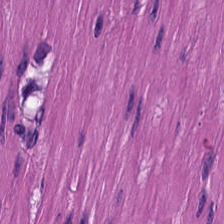H&E-stained tissue section — Predominant tissue: smooth muscle.
